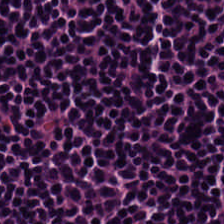Formalin-fixed paraffin-embedded section. H&E stain.
This patch shows lymphoid infiltrate.
